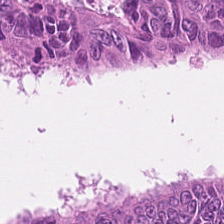Hematoxylin and eosin. Tissue class — colorectal adenocarcinoma epithelium.
